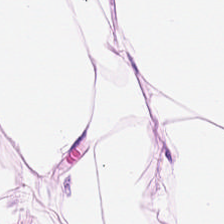H&E · 0.5 µm per pixel.
Showing fat tissue.
